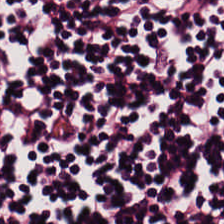224×224 px tile; H&E stain — Predominantly lymphocytic infiltrate.
